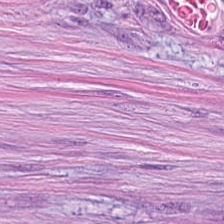Classification: desmoplastic stroma.
